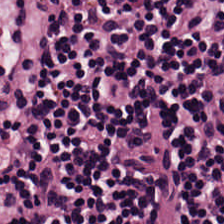H&E — lymphocytes.
